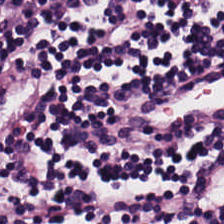H&E patch showing lymphocyte aggregate.
